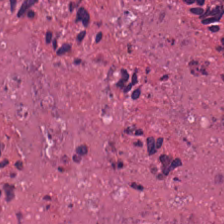H&E stain.
Tissue class — cellular debris.
